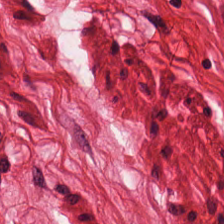Q: What is shown in this field?
A: This is smooth-muscle tissue.
